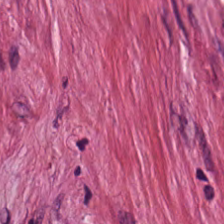Hematoxylin-and-eosin section: desmoplastic stroma.
